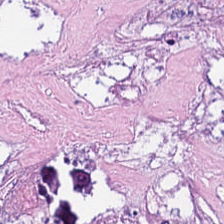0.5 microns per pixel. H&E-stained tissue section. The tissue here is cellular debris.
